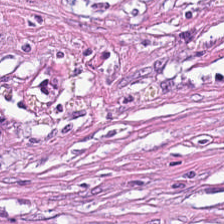Hematoxylin-and-eosin stained section. Predominantly tumor-associated stroma.
